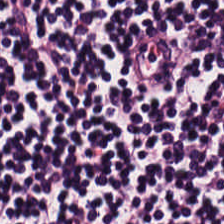Brightfield microscopy; FFPE tissue section; H&E-stained tissue section. Q: Identify the tissue.
A: The field shows lymphocytic infiltrate.
